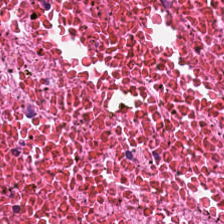H&E; 224×224 pixel tile; 0.5 microns per pixel — Showing cellular debris.
